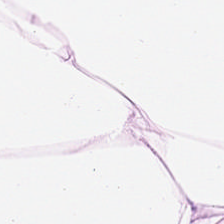Finding → adipose tissue.
